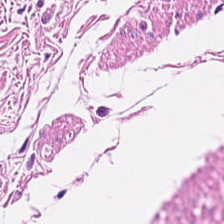Hematoxylin and eosin. 224×224 pixel tile. 0.5 µm per pixel. Smooth muscle.
